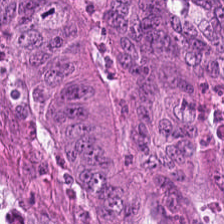H&E; formalin-fixed paraffin-embedded section. Impression — malignant epithelium.
